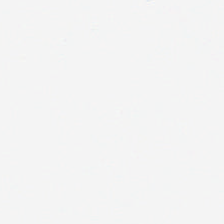The content is background (no tissue).
